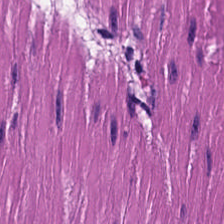Hematoxylin-and-eosin stained section — Q: What tissue type is shown here?
A: It is smooth muscle.
